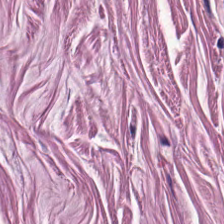Tissue class — smooth-muscle tissue.
